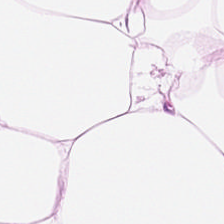H&E-stained tissue section · 224×224 px tile.
Tissue = fat tissue.
